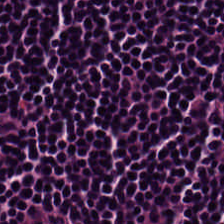H&E-stained tissue section · formalin-fixed paraffin-embedded section — Predominant tissue — lymphoid infiltrate.
